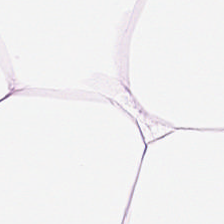Impression → adipose tissue.
